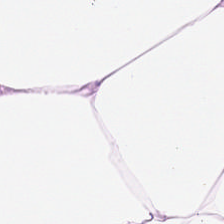Stain: hematoxylin and eosin.
Preparation: FFPE tissue section.
Predominant tissue: fat tissue.
